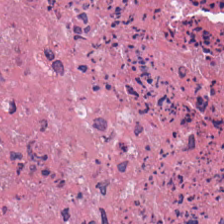Q: What is shown here?
A: The field shows necrotic debris.
